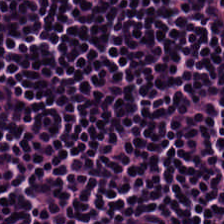H&E-stained tissue section · 224×224 pixel tile — The tissue here is lymphoid infiltrate.
